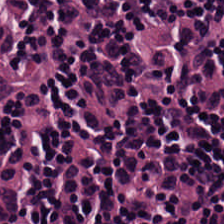The tissue type is lymphocytes.
